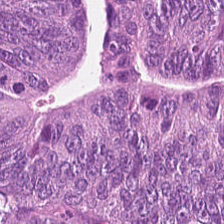Stain: hematoxylin and eosin.
Classification: colorectal adenocarcinoma epithelium.
